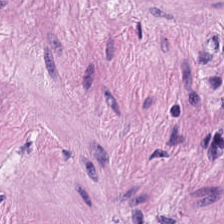Hematoxylin-and-eosin section: muscularis.
